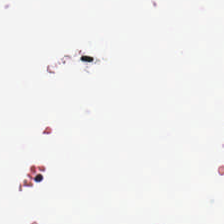Hematoxylin-and-eosin stained section. 0.5 microns per pixel.
Empty field — empty background.
